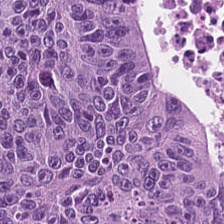Hematoxylin-and-eosin stained section; FFPE — This field is colorectal adenocarcinoma epithelium.
